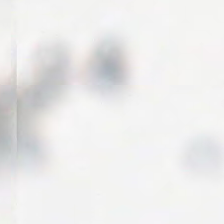Hematoxylin and eosin — Content = empty background.
